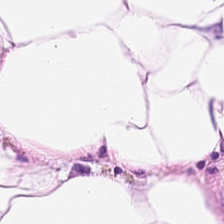H&E-stained tissue section · 0.5 µm per pixel.
Impression → adipocytes.
